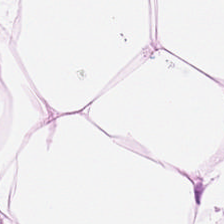Stain: hematoxylin-and-eosin stained section.
Predominant tissue: fat tissue.
